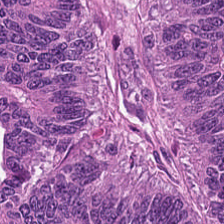{"tissue_type": "tumor epithelium"}
